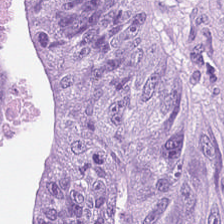H&E stain. The predominant tissue is colorectal adenocarcinoma epithelium.
